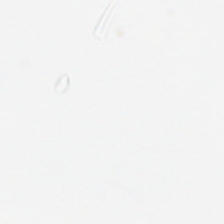Hematoxylin-and-eosin stained section; WSI patch — Background — no tissue in this field.
